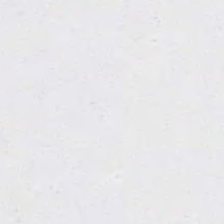H&E stain — Classification = no tissue.
